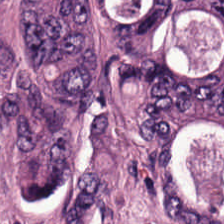FFPE · hematoxylin and eosin. Q: What is shown here?
A: Colorectal adenocarcinoma.
